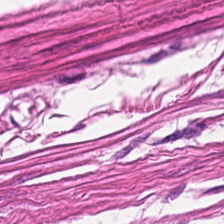20× equivalent magnification; WSI patch; hematoxylin-and-eosin stained section.
This field is muscularis.
